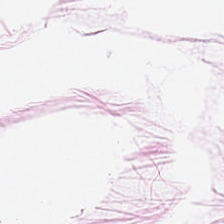This patch shows fat tissue.
